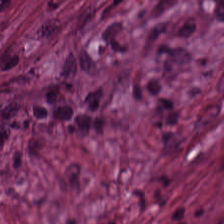Stain: hematoxylin and eosin.
Predominant tissue: desmoplastic stroma.
